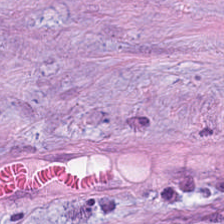Hematoxylin and eosin; 0.5 µm per pixel — Predominantly cancer-associated stroma.
